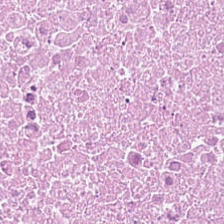0.5 microns per pixel; H&E.
Impression → debris.
